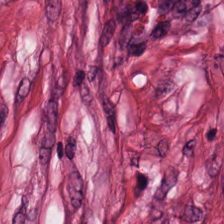Stain: hematoxylin-and-eosin stained section.
Tissue: cancer-associated stroma.
